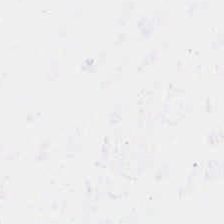H&E stain — {"content": "empty background"}
